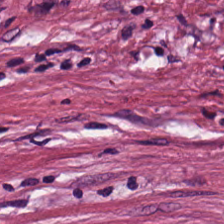Hematoxylin-and-eosin stained section. Showing tumor stroma.
